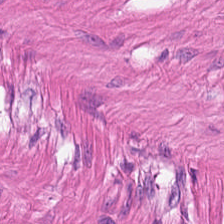20× equivalent magnification; H&E-stained tissue section. Finding → muscularis.
